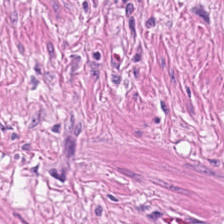Hematoxylin and eosin. Finding → muscularis.
